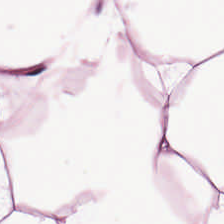224×224 px tile. H&E stain — Adipose tissue.
